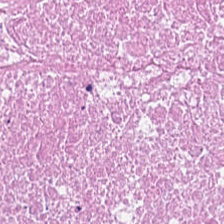Hematoxylin-and-eosin stained section — Predominantly cellular debris.
